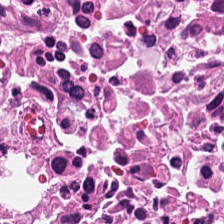Tissue: necrotic debris.
